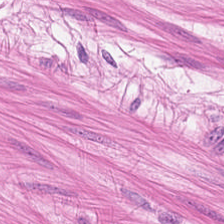H&E-stained tissue section; 0.5 µm/px — Predominantly muscularis.
